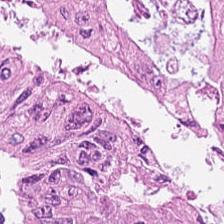Hematoxylin and eosin. Tissue class — colorectal adenocarcinoma.
